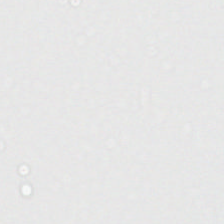No tissue present; background only.
